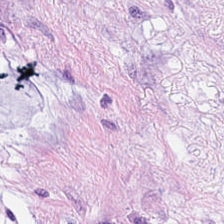Hematoxylin and eosin. The predominant tissue is mucin.
